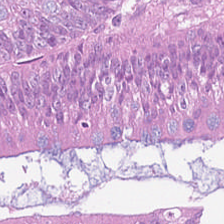Hematoxylin-and-eosin stained section. Predominantly colorectal adenocarcinoma.
